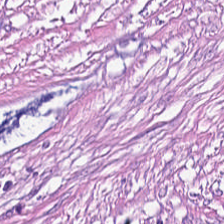Tissue type — tumor-associated stroma.
